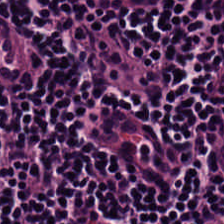Stain: hematoxylin-and-eosin stained section.
Tissue class: lymphoid infiltrate.
